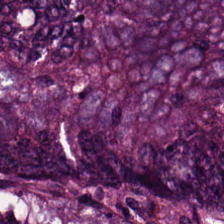Stain: hematoxylin and eosin.
Predominant tissue: tumor epithelium.
